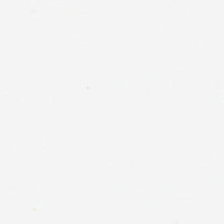H&E-stained tissue section; 20× equivalent magnification. Impression — background (no tissue).
